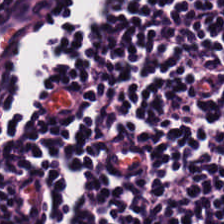Tissue — lymphocyte aggregate.
